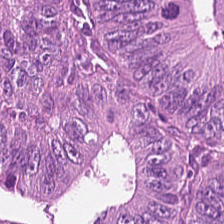Hematoxylin and eosin. Tissue type — colorectal adenocarcinoma epithelium.
